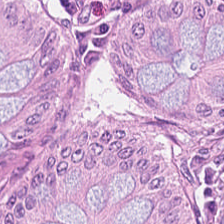Q: What does this patch show?
A: Non-neoplastic colon mucosa.
